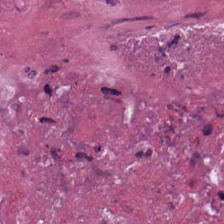224×224 pixel tile · FFPE · hematoxylin and eosin.
Q: What type of tissue is this?
A: This is cellular debris.
